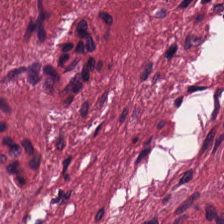Q: What is shown here?
A: It is desmoplastic stroma.
